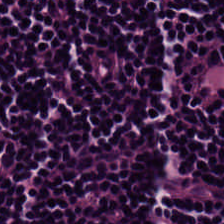Impression — lymphocyte aggregate.
